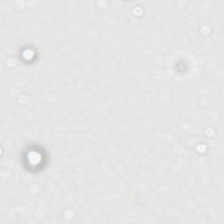Background — no tissue in this field.
